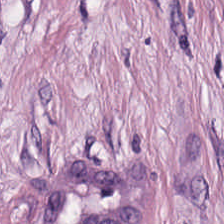Q: What is shown in this field?
A: The field shows tumor-associated stroma.
